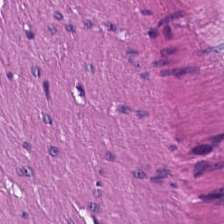{"tissue_type": "muscularis"}
